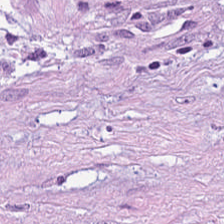H&E stain.
Impression — desmoplastic stroma.
